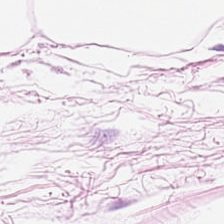H&E. 0.5 µm/px. Whole-slide-image patch — Finding → adipose tissue.
